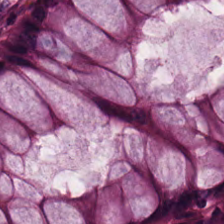Hematoxylin and eosin · 0.5 microns per pixel.
The predominant tissue is benign colonic mucosa.
